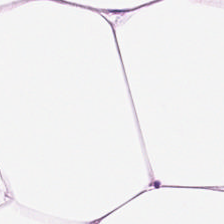The tissue is adipose tissue.
